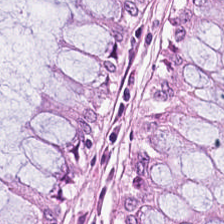Stain: hematoxylin and eosin.
Tile size: 224×224 pixel tile.
Resolution: 0.5 µm per pixel.
Classification: normal colonic mucosa.
